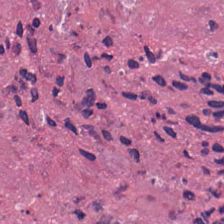Hematoxylin-and-eosin stained section.
Predominantly debris.
